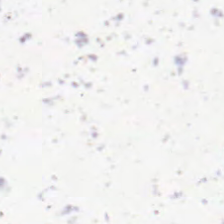H&E-stained tissue section.
Empty field — empty background.
